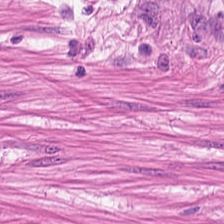H&E stain — Tissue type = muscularis.
